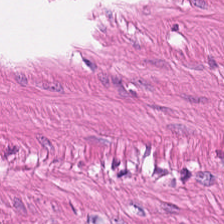WSI patch; 224×224 pixel tile; hematoxylin and eosin.
Predominantly smooth-muscle tissue.
